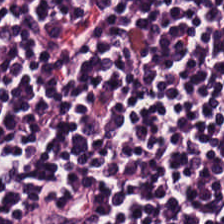Brightfield microscopy · H&E · 224×224 px patch.
Q: What does this patch show?
A: The field shows lymphoid infiltrate.
